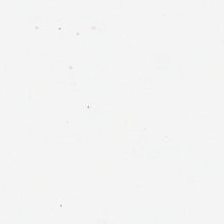FFPE tissue section · hematoxylin-and-eosin stained section · brightfield — {"content": "no tissue"}
